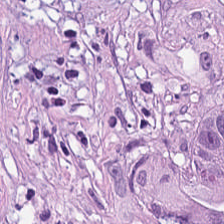Stain: H&E stain.
Tissue class: tumor-associated stroma.
